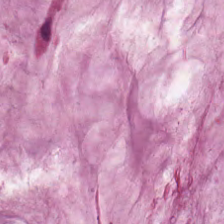Hematoxylin-and-eosin stained section — Predominant tissue — extracellular mucin.
